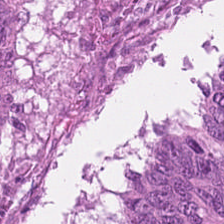H&E — Finding → malignant epithelium.
